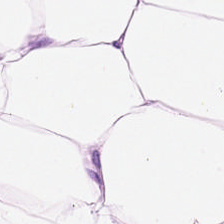224×224 pixel tile; 0.5 µm/px; hematoxylin and eosin.
Fat tissue.
